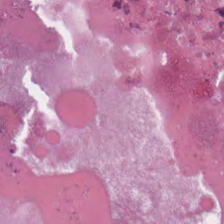Formalin-fixed paraffin-embedded section. WSI patch. H&E stain. The classification is debris.
